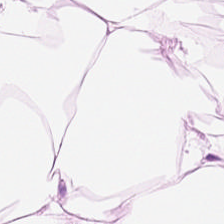Tissue type — adipose.
